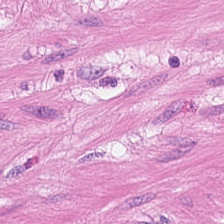224×224 px tile. H&E stain.
The tissue here is muscularis.
